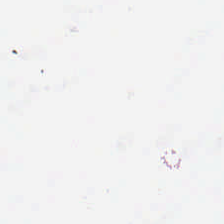Hematoxylin and eosin · 0.5 µm/px — Background — no tissue in this field.
